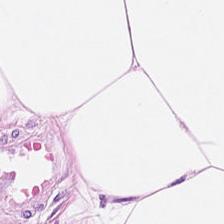0.5 µm/px. H&E-stained tissue section.
Impression — fat tissue.
